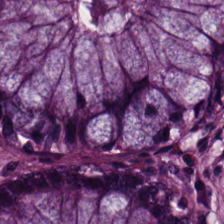H&E-stained tissue section · 0.5 µm per pixel — Classification = non-neoplastic colon mucosa.
